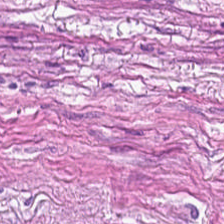H&E — Predominant tissue — tumor stroma.
